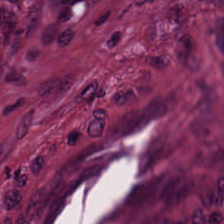Stain: hematoxylin and eosin.
Preparation: formalin-fixed paraffin-embedded section.
Tile size: 224×224 pixel tile.
Tissue class: tumor-associated stroma.
